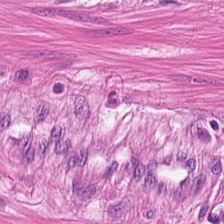FFPE tissue section · H&E-stained tissue section. Classification: smooth muscle.
